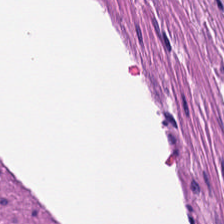H&E. The tissue here is muscularis.
